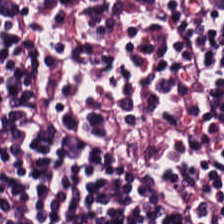Showing lymphocyte aggregate.
